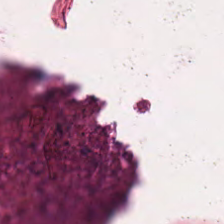The tissue is cellular debris.
